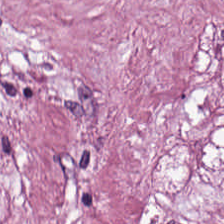Q: What is shown in this field?
A: It is cancer-associated stroma.
